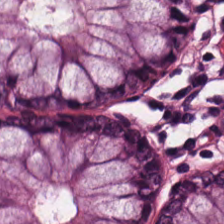Hematoxylin-and-eosin stained section. Brightfield. This field is normal colon mucosa.
